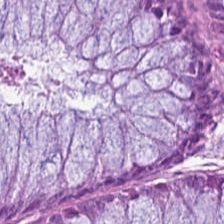H&E-stained tissue section · 20× equivalent magnification.
Q: What is shown here?
A: This is normal colon mucosa.
